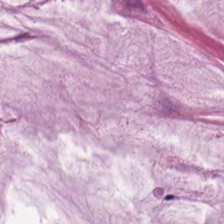224×224 px tile · hematoxylin-and-eosin stained section — Predominantly mucus.
